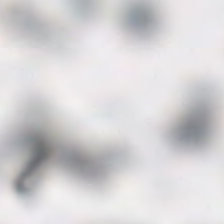H&E stain — Field content = no tissue.
